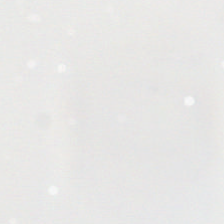0.5 µm/px. Hematoxylin-and-eosin stained section.
Empty field — background (no tissue).
